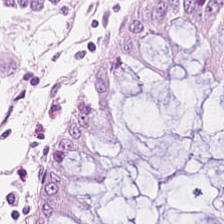H&E — Predominant tissue — benign colonic mucosa.
